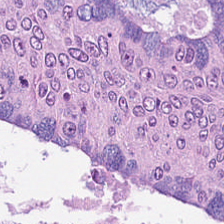H&E.
Tissue type = colorectal adenocarcinoma.
